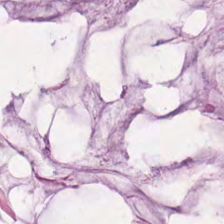Hematoxylin and eosin. 224×224 px patch.
Tissue class — mucin.
